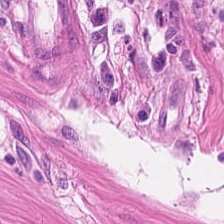Showing smooth-muscle tissue.
